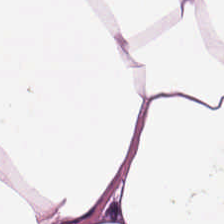H&E stain — Predominantly adipocytes.
